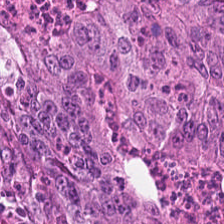20× equivalent magnification. H&E stain. Brightfield microscopy.
Tissue class: tumor epithelium.
